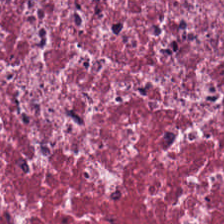Stain: H&E.
Resolution: 0.5 µm per pixel.
Tile size: 224×224 pixel tile.
Predominant tissue: tumor stroma.
